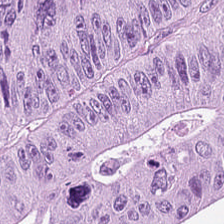Impression — malignant epithelium.
